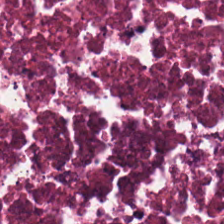Hematoxylin and eosin. Q: What is the predominant tissue type?
A: This is cellular debris.
